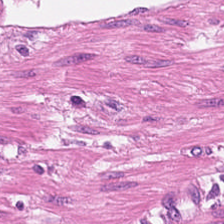H&E · brightfield microscopy — Tissue — smooth-muscle tissue.
